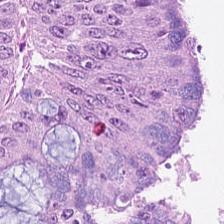H&E-stained tissue section. Histology — colorectal adenocarcinoma epithelium.
